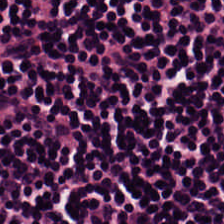Hematoxylin and eosin.
The tissue class is lymphocyte aggregate.
